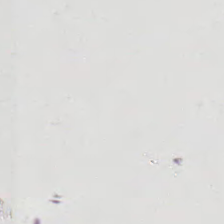H&E stain.
The content is background (no tissue).
